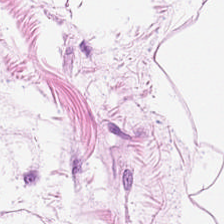FFPE · 0.5 µm per pixel · H&E stain — The classification is adipose tissue.
